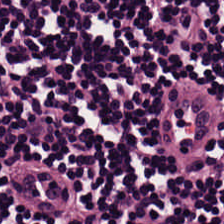H&E stain · whole-slide-image patch.
Q: What does this patch show?
A: Lymphocytes.
